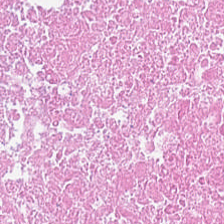Showing necrotic debris.
